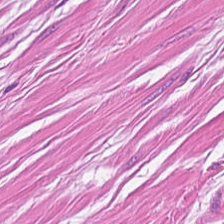H&E stain; 224×224 pixel tile; 0.5 µm/px — Muscularis.
